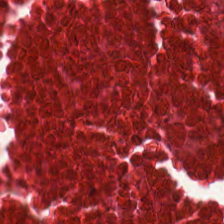H&E stain; 224×224 px tile. {"tissue_type": "cellular debris"}
